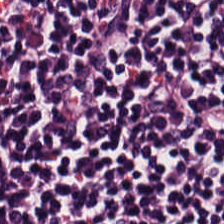H&E — lymphocytic infiltrate.
